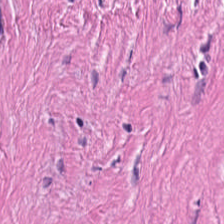Finding — tumor stroma.
